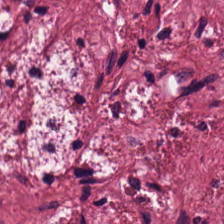H&E-stained tissue section — Classification: desmoplastic stroma.
